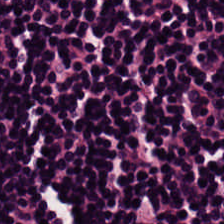Hematoxylin-and-eosin stained section; 0.5 µm per pixel; whole-slide-image patch — Predominantly lymphoid infiltrate.
